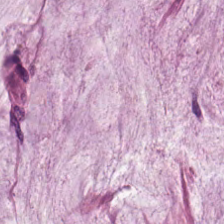H&E; 224×224 px tile. The tissue here is extracellular mucin.
